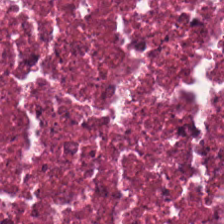224×224 pixel tile · H&E.
Q: Classify this patch.
A: This is necrotic debris.
